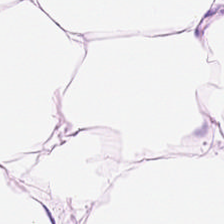Classification = adipose tissue.
